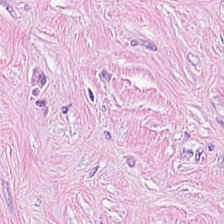FFPE tissue section; hematoxylin and eosin. {"tissue_type": "cancer-associated stroma"}
